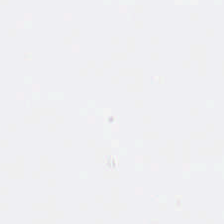H&E stain. Brightfield. Impression — no tissue.
